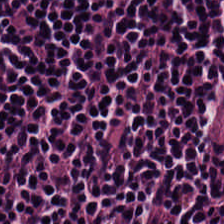H&E · 224×224 pixel tile · FFPE tissue section. This patch shows lymphocytes.
